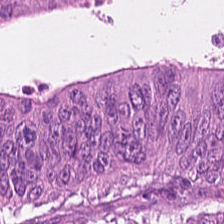H&E stain · whole-slide-image patch · 0.5 µm per pixel. The tissue type is tumor epithelium.
